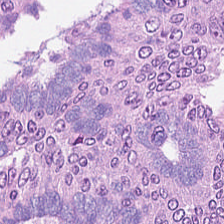Classification: tumor epithelium.
